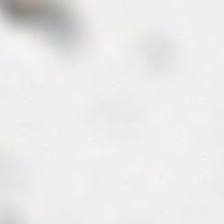Hematoxylin and eosin. Impression → no tissue.
